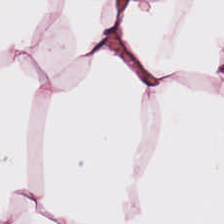Hematoxylin and eosin. This field is adipose tissue.
